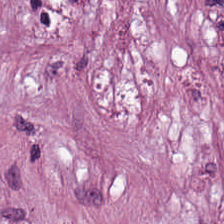H&E.
The predominant tissue is desmoplastic stroma.
